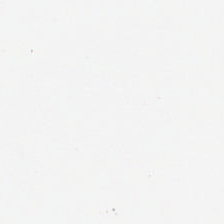224×224 px tile. Hematoxylin-and-eosin stained section — The content is background (no tissue).
